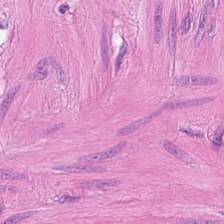Hematoxylin-and-eosin stained section · formalin-fixed paraffin-embedded section. Q: Identify the tissue.
A: This is smooth-muscle tissue.
